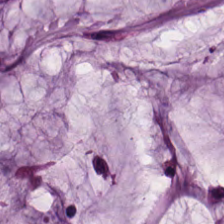H&E stain.
Tissue class: mucin.
